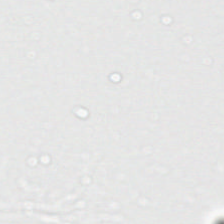Content: no tissue.
